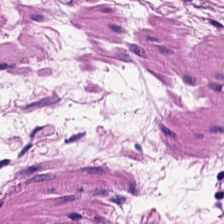Brightfield; 0.5 µm per pixel; H&E — Q: Identify the tissue.
A: The field shows smooth muscle.
